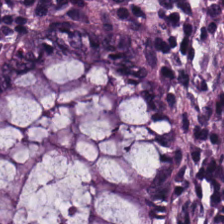Q: What does this patch show?
A: Normal colonic mucosa.
